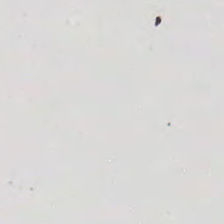Impression → empty background.
